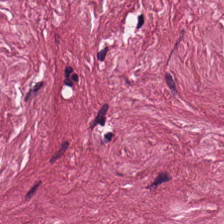Hematoxylin-and-eosin stained section — Tumor stroma.
